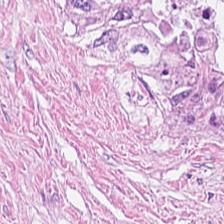H&E stain. Classification — cancer-associated stroma.
